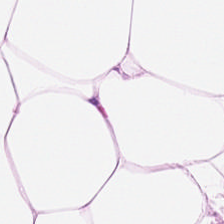Stain: H&E stain.
Acquisition: whole-slide-image patch.
Tissue type: adipose.
